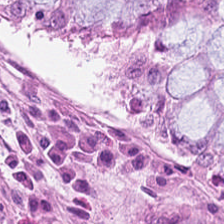H&E-stained tissue section.
Showing normal colonic mucosa.
